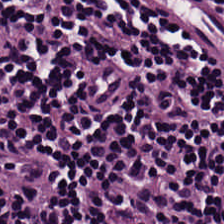Predominant tissue = lymphocytic infiltrate.
